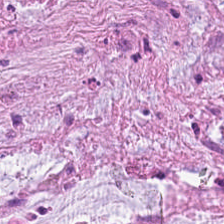H&E. 224×224 pixel tile.
Extracellular mucin.
